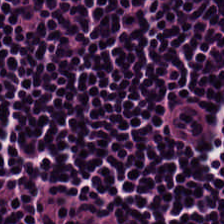Stain: H&E stain.
Tissue: lymphocytic infiltrate.
